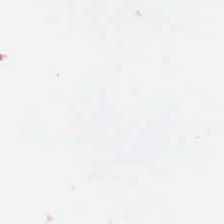H&E-stained tissue section.
{"content": "no tissue"}
